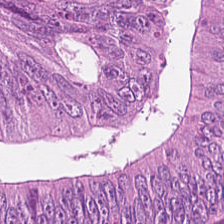H&E stain. Predominantly colorectal adenocarcinoma epithelium.
